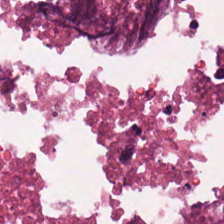Hematoxylin-and-eosin stained section — Tissue = necrotic debris.
